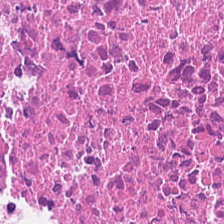H&E-stained tissue section · 224×224 pixel tile — The tissue is cellular debris.
